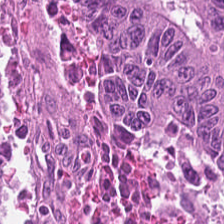H&E-stained tissue section — The predominant tissue is tumor epithelium.
